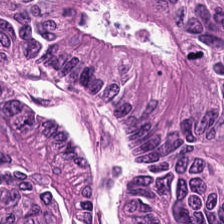Classification: adenocarcinoma.
